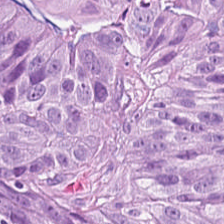0.5 microns per pixel. Hematoxylin and eosin. Predominant tissue: colorectal adenocarcinoma.
